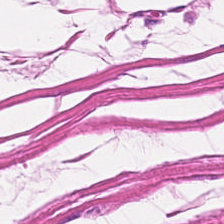224×224 px tile. 0.5 µm per pixel. Hematoxylin and eosin. Tissue type — smooth muscle.
